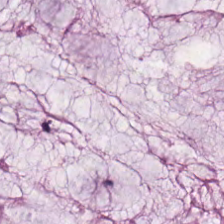WSI patch. H&E stain. 0.5 µm/px.
Tissue — mucin.
